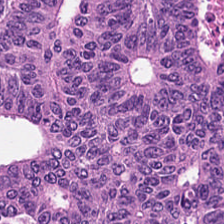H&E.
The tissue class is tumor epithelium.
